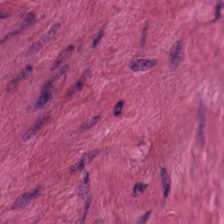Predominant tissue: smooth muscle.
